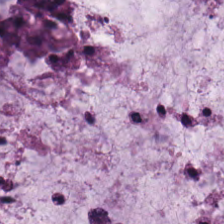224×224 px tile. H&E stain. This field is mucus.
